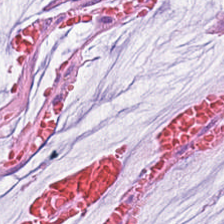Formalin-fixed paraffin-embedded section. H&E. 224×224 pixel tile.
The predominant tissue is mucin.
